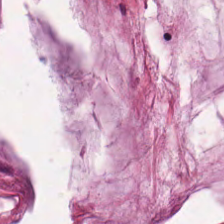Hematoxylin-and-eosin stained section. Tissue type: extracellular mucin.
